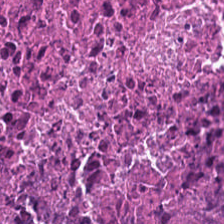Impression — cellular debris.
